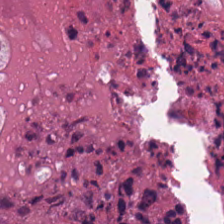H&E — cellular debris.
